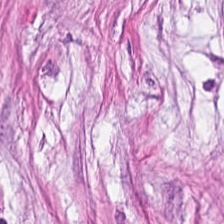Hematoxylin-and-eosin stained section — The tissue type is tumor stroma.
